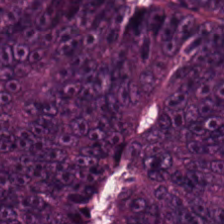This field is malignant epithelium.
